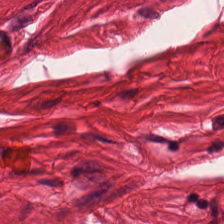224×224 pixel tile. FFPE. Hematoxylin and eosin — Tissue type = smooth-muscle tissue.
